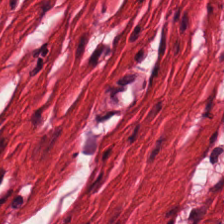Stain: hematoxylin and eosin.
Tissue class: muscularis.
